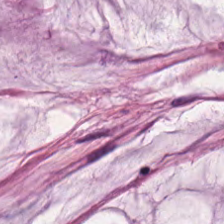Hematoxylin and eosin. Showing extracellular mucin.
